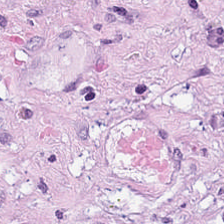Showing tumor-associated stroma.
